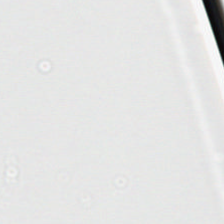Hematoxylin-and-eosin stained section. Content: no tissue.
